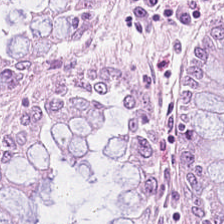Stain: hematoxylin and eosin.
Predominant tissue: normal colon mucosa.
